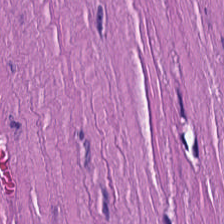Q: What does this patch show?
A: This is smooth-muscle tissue.
